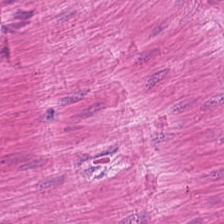Finding → smooth-muscle tissue.
